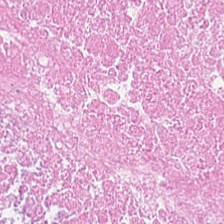H&E stain; 224×224 pixel tile.
Showing cellular debris.
